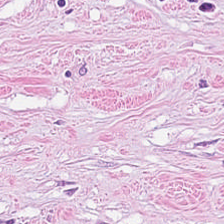Whole-slide-image patch. Hematoxylin-and-eosin stained section. 20× equivalent magnification — This patch shows cancer-associated stroma.
